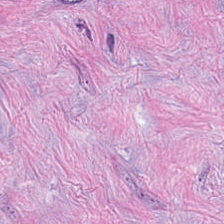Whole-slide-image patch. H&E-stained tissue section. Tissue = desmoplastic stroma.
